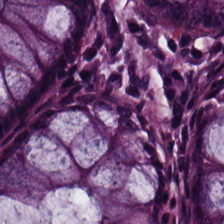Stain: hematoxylin-and-eosin stained section.
Tile size: 224×224 px patch.
Tissue class: benign colonic mucosa.
